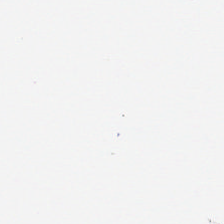Hematoxylin and eosin; 0.5 µm/px. Field content = background.
